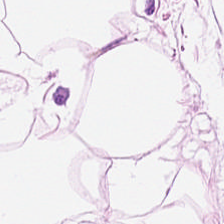Q: What tissue type is shown here?
A: Adipocytes.
